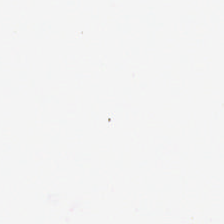H&E. FFPE.
The field content is no tissue.
